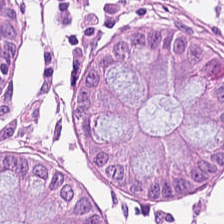224×224 px patch; whole-slide-image patch; hematoxylin and eosin. This field is normal colon mucosa.
